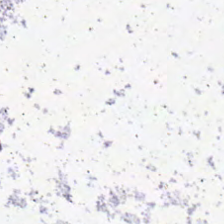Hematoxylin-and-eosin stained section · 224×224 pixel tile. Empty background.
